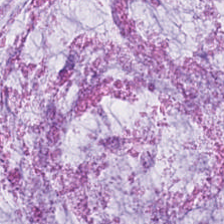Hematoxylin-and-eosin stained section — Impression → mucin.
